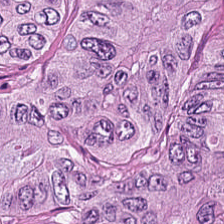Stain: H&E-stained tissue section.
Tile size: 224×224 pixel tile.
Tissue class: adenocarcinoma.
